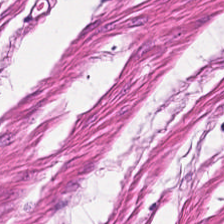Classification = smooth muscle.
